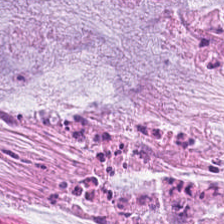0.5 µm/px · hematoxylin-and-eosin stained section — Tissue class: mucin.
